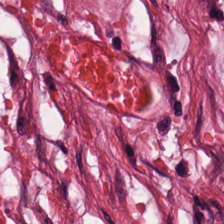Hematoxylin and eosin; whole-slide-image patch. Tissue: tumor-associated stroma.
